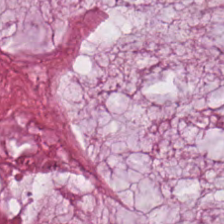224×224 pixel tile · H&E · FFPE tissue section. This field is mucin.
